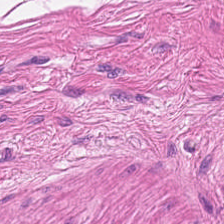Tissue: muscularis.
